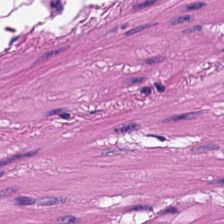Hematoxylin-and-eosin stained section. FFPE tissue section. 224×224 pixel tile — Q: What type of tissue is this?
A: It is muscularis.
